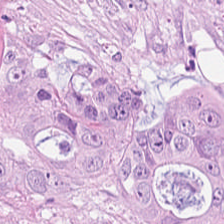H&E-stained tissue section.
The predominant tissue is colorectal adenocarcinoma epithelium.
